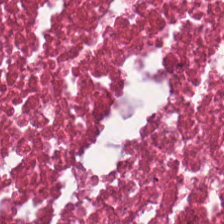H&E-stained tissue section.
The predominant tissue is necrotic debris.
